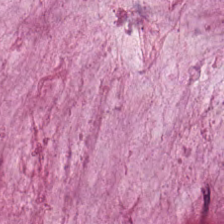Stain: H&E-stained tissue section.
Classification: extracellular mucin.
